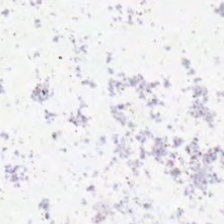H&E stain; WSI patch.
Q: What is shown here?
A: The field shows background (no tissue).
